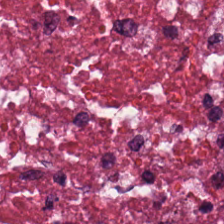H&E stain. Tissue: debris.
